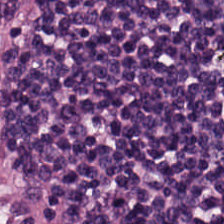Stain: hematoxylin-and-eosin stained section.
Acquisition: brightfield.
Tissue class: lymphocytic infiltrate.
